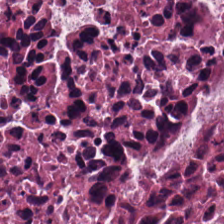Hematoxylin and eosin.
Q: What does this patch show?
A: The field shows cellular debris.
